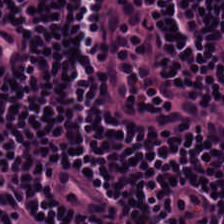Hematoxylin-and-eosin stained section. FFPE tissue section. The predominant tissue is lymphocytic infiltrate.
